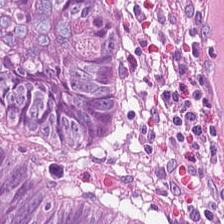H&E stain. The classification is adenocarcinoma.
